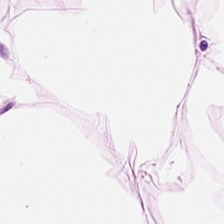FFPE · H&E — {"tissue_type": "adipose tissue"}
